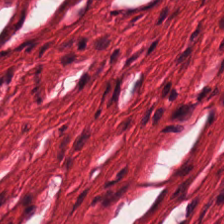H&E stain; 20× equivalent magnification — The tissue here is muscularis.
